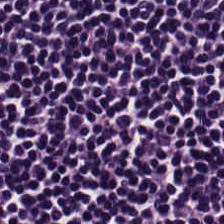Stain: hematoxylin-and-eosin stained section.
Acquisition: WSI patch.
Preparation: FFPE.
Tissue type: lymphocytes.
